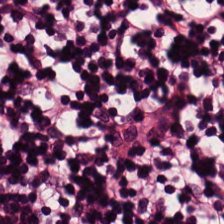Hematoxylin-and-eosin stained section — This patch shows lymphocyte aggregate.
